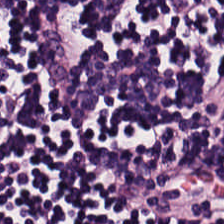Showing lymphocyte aggregate.
